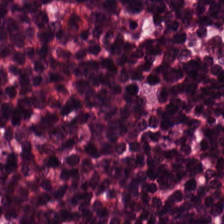Hematoxylin-and-eosin stained section · brightfield — {"tissue_type": "lymphocytes"}
